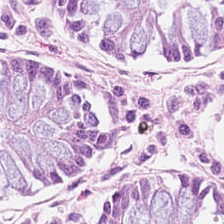H&E stain — Q: Identify the tissue.
A: This is normal colon mucosa.
